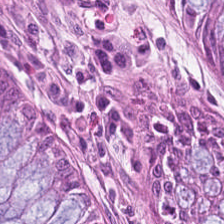Stain: hematoxylin and eosin.
Tissue class: normal colonic mucosa.
